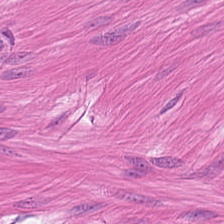H&E-stained tissue section.
This field is muscularis.
